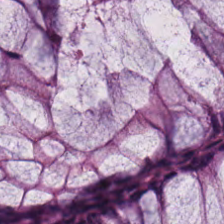H&E-stained tissue section. The tissue is normal colon mucosa.
